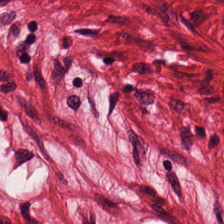Hematoxylin and eosin.
Tissue class: muscularis.
